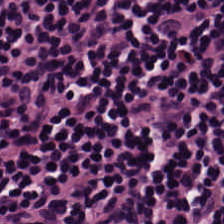Hematoxylin and eosin — Histology — lymphocytes.
